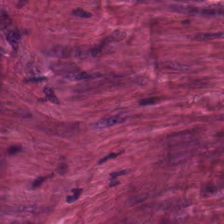20× equivalent magnification. Hematoxylin-and-eosin stained section. Histology — desmoplastic stroma.
